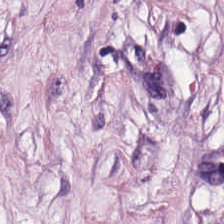Q: What does this patch show?
A: It is cancer-associated stroma.
